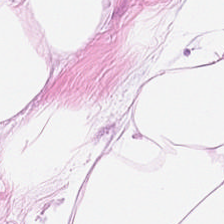H&E · 0.5 µm/px.
This field is adipocytes.
